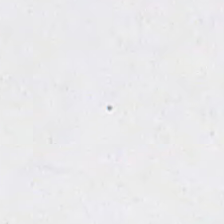Hematoxylin-and-eosin stained section · FFPE tissue section — This field is background (no tissue).
